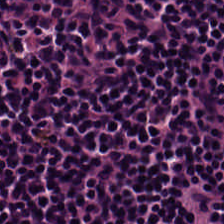Stain: hematoxylin and eosin.
Tissue: lymphoid infiltrate.
